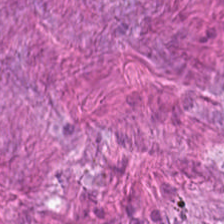H&E; formalin-fixed paraffin-embedded section — This field is desmoplastic stroma.
